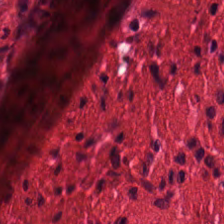H&E — Finding — muscularis.
